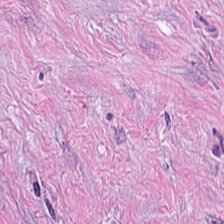Hematoxylin-and-eosin stained section. The tissue here is cancer-associated stroma.
